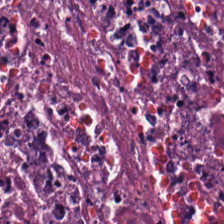H&E — {"tissue_type": "necrotic debris"}
